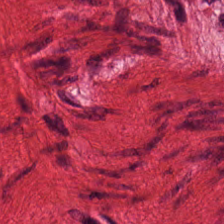This patch shows muscularis.
